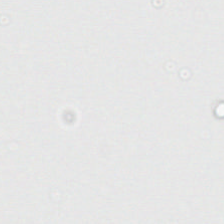The classification is background.
